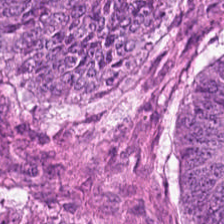H&E. 0.5 microns per pixel. Q: What type of tissue is this?
A: This is tumor epithelium.
